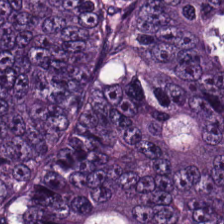Finding → adenocarcinoma.
